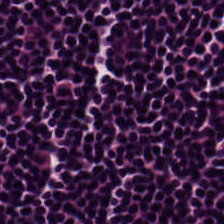H&E. Lymphoid infiltrate.
